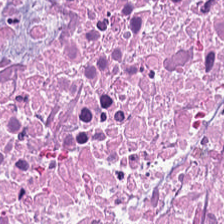H&E — Showing debris.
